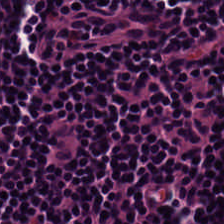Hematoxylin-and-eosin stained section. Predominantly lymphocytes.
